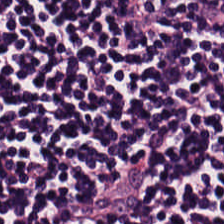H&E-stained tissue section. Predominantly lymphocyte aggregate.
